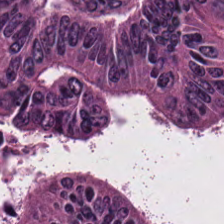Hematoxylin-and-eosin stained section. Q: What tissue is shown?
A: Colorectal adenocarcinoma.
